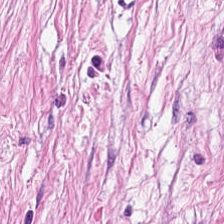Brightfield microscopy. H&E stain. 0.5 µm/px.
Tissue: tumor-associated stroma.
